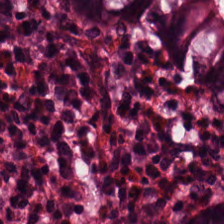Hematoxylin and eosin; 224×224 pixel tile — Q: What tissue is shown?
A: It is benign colonic mucosa.
